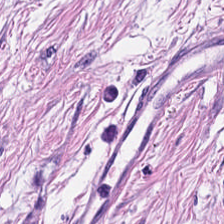FFPE tissue section · H&E-stained tissue section.
Predominantly smooth-muscle tissue.
